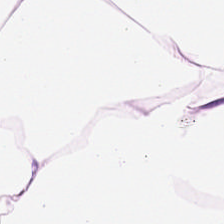The predominant tissue is fat tissue.
